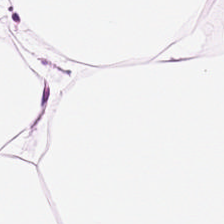Whole-slide-image patch; hematoxylin-and-eosin stained section; 0.5 µm per pixel. Q: Identify the tissue.
A: The field shows adipose tissue.
